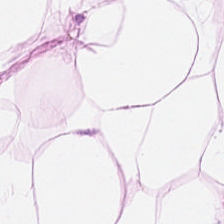H&E.
Tissue type = adipose tissue.
